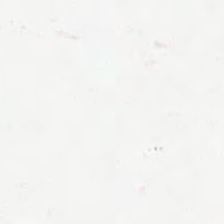Q: What is shown in this field?
A: The field shows background.
